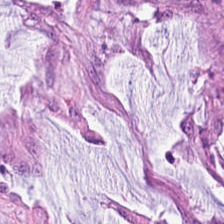Hematoxylin-and-eosin stained section. Histology — extracellular mucin.
